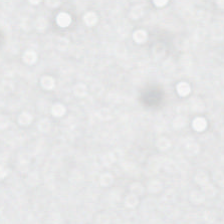Hematoxylin-and-eosin stained section · formalin-fixed paraffin-embedded section · 20× equivalent magnification.
Q: What is shown here?
A: The field shows background.
